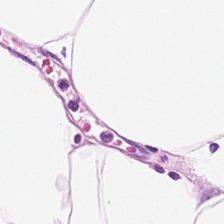Hematoxylin and eosin — Predominant tissue = fat tissue.
